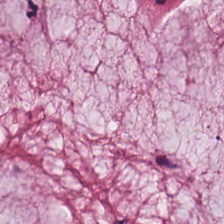H&E-stained tissue section. 224×224 px tile.
Predominant tissue — mucus.
